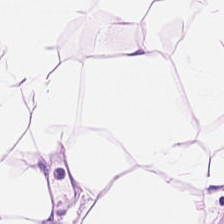This field is fat tissue.
